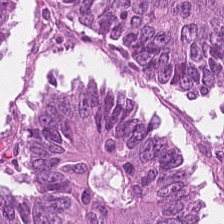Histology → adenocarcinoma.
